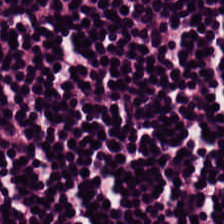H&E patch showing lymphoid infiltrate.
